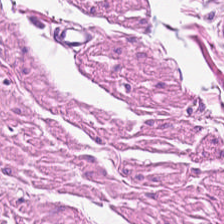H&E-stained tissue section — Finding — smooth-muscle tissue.
